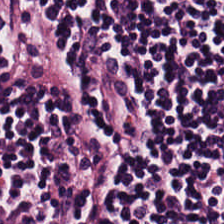Q: What tissue is shown?
A: The field shows lymphocytic infiltrate.
